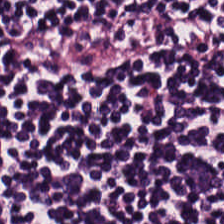H&E stain — This field is lymphocyte aggregate.
